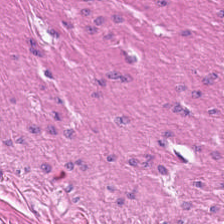Hematoxylin-and-eosin stained section — Predominant tissue: smooth muscle.
